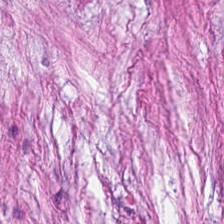The predominant tissue is tumor stroma.
